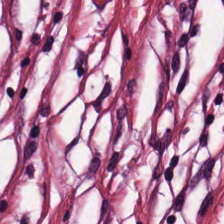Stain: hematoxylin and eosin.
Resolution: 0.5 µm per pixel.
Tile size: 224×224 px tile.
Predominant tissue: tumor-associated stroma.
